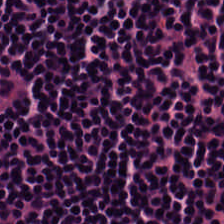Hematoxylin and eosin. Classification: lymphoid infiltrate.
